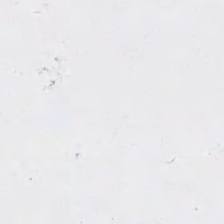H&E.
No tissue present; background only.
